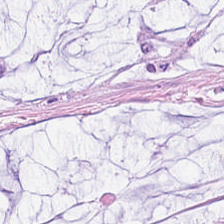The predominant tissue is mucus.
